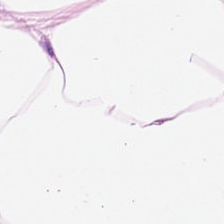Whole-slide-image patch. Hematoxylin-and-eosin stained section. Predominant tissue = adipose tissue.
